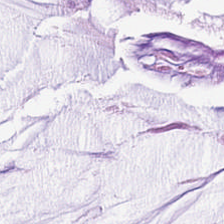H&E stain. The predominant tissue is mucin.
